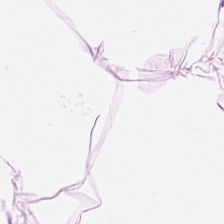Stain: hematoxylin-and-eosin stained section.
Tile size: 224×224 px patch.
Classification: adipocytes.
